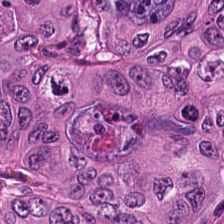H&E. Tissue class = tumor epithelium.
